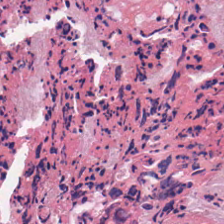H&E.
Q: What is shown here?
A: Cellular debris.
